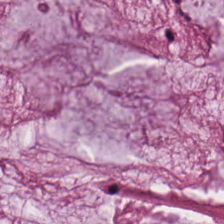Stain: H&E stain.
Tissue: extracellular mucin.
